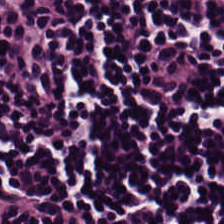Hematoxylin-and-eosin stained section — Histology → lymphoid infiltrate.
